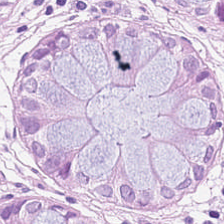H&E.
Impression → normal colon mucosa.
